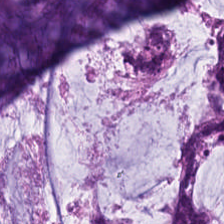Q: Classify this patch.
A: The field shows extracellular mucin.
